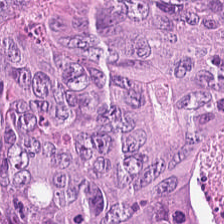The tissue type is colorectal adenocarcinoma.
